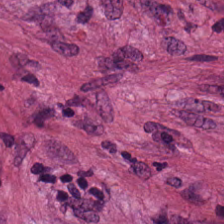Formalin-fixed paraffin-embedded section. 0.5 µm per pixel. Hematoxylin and eosin.
This patch shows tumor stroma.
